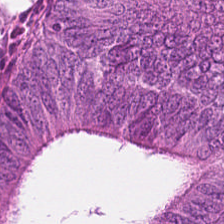Hematoxylin-and-eosin stained section; FFPE.
Predominant tissue = colorectal adenocarcinoma.
